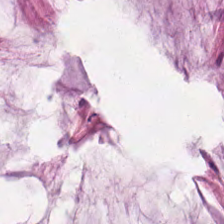WSI patch. Hematoxylin-and-eosin stained section. The tissue here is mucin.
